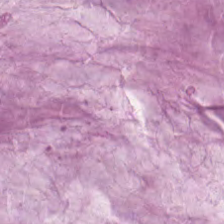Q: Classify this patch.
A: It is mucin.
